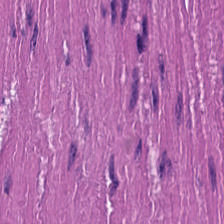H&E.
Showing smooth-muscle tissue.
